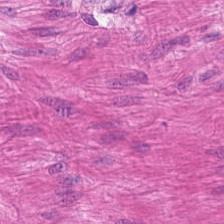H&E-stained tissue section.
Showing smooth-muscle tissue.
